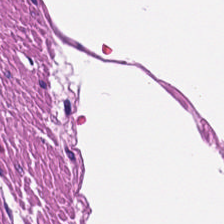FFPE · H&E stain.
This patch shows smooth muscle.
